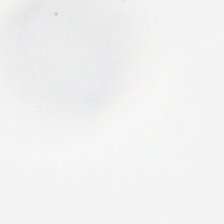H&E; formalin-fixed paraffin-embedded section; 224×224 pixel tile. Classification: no tissue.
